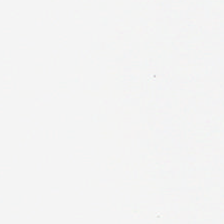Hematoxylin and eosin — Histology — background.
